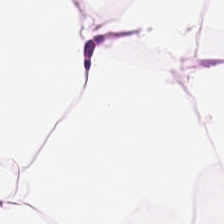Hematoxylin and eosin.
{"tissue_type": "fat tissue"}
